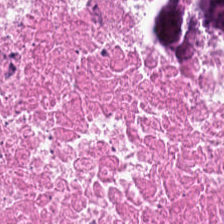Hematoxylin-and-eosin stained section. Q: What is shown here?
A: This is debris.
